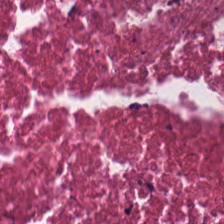20× equivalent magnification; FFPE tissue section; H&E-stained tissue section. Predominant tissue: cellular debris.
